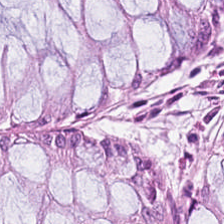Hematoxylin-and-eosin stained section — The predominant tissue is benign colonic mucosa.
